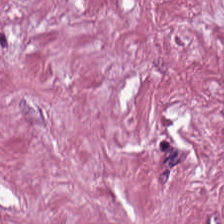This patch shows cancer-associated stroma.
